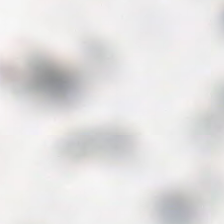Q: What is shown here?
A: This is background (no tissue).
